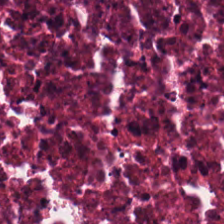Stain: hematoxylin and eosin.
Tissue class: debris.
